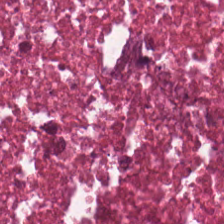Formalin-fixed paraffin-embedded section · H&E-stained tissue section. The tissue is debris.
